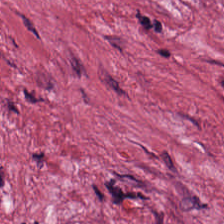Hematoxylin and eosin · brightfield microscopy.
Finding — desmoplastic stroma.
